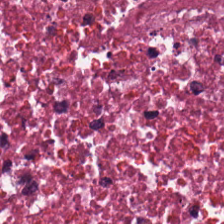Brightfield microscopy. Hematoxylin-and-eosin stained section.
Classification: debris.
